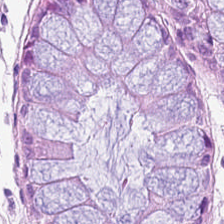H&E stain. Impression — non-neoplastic colon mucosa.
